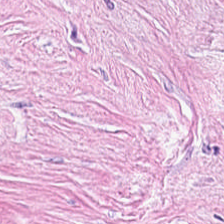Formalin-fixed paraffin-embedded section; hematoxylin and eosin; brightfield microscopy — Impression — desmoplastic stroma.
